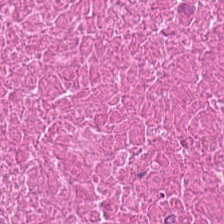The classification is debris.
